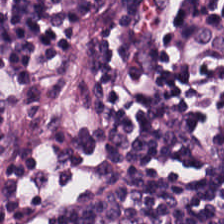H&E stain. Histology → lymphocytes.
